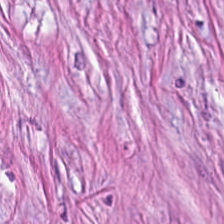H&E-stained tissue section showing tumor stroma.
